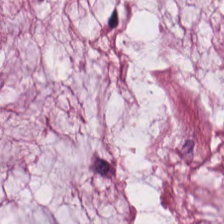H&E-stained tissue section. The tissue class is mucin.
